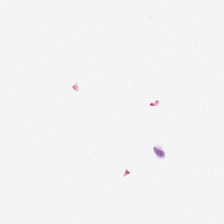H&E stain. Finding → background.
